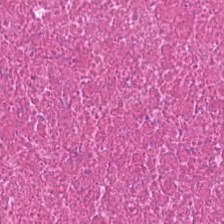H&E-stained tissue section.
Q: What tissue is shown?
A: This is debris.
